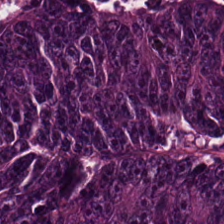Stain: hematoxylin and eosin.
Tissue class: adenocarcinoma.
